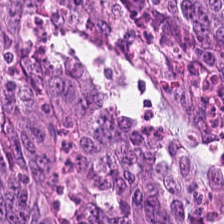Hematoxylin-and-eosin stained section. This patch shows adenocarcinoma.
